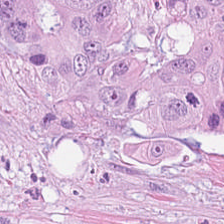H&E-stained section; the field shows malignant epithelium.
